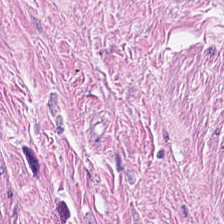224×224 px tile; H&E — Q: Identify the tissue.
A: This is smooth-muscle tissue.
